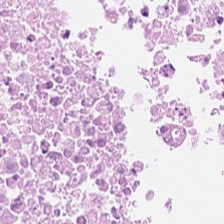FFPE tissue section. Brightfield. Hematoxylin-and-eosin stained section — Finding — debris.
